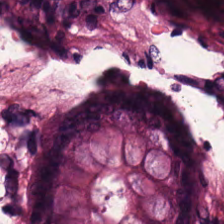Hematoxylin-and-eosin stained section. The predominant tissue is normal colon mucosa.
